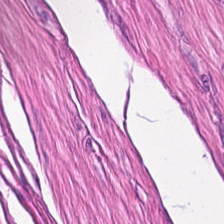H&E. The predominant tissue is muscularis.
